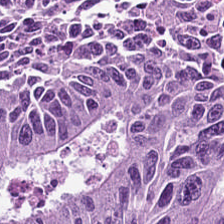0.5 µm per pixel · 224×224 px tile · hematoxylin and eosin. This patch shows adenocarcinoma.
